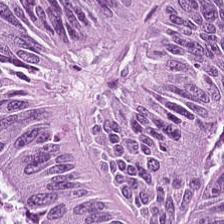Impression — malignant epithelium.
